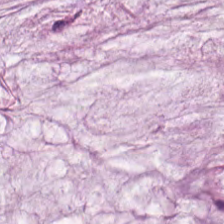The predominant tissue is mucus.
